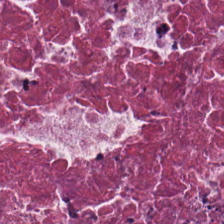H&E. Showing necrotic debris.
